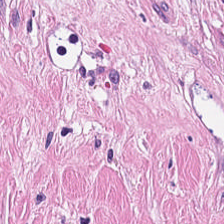H&E-stained tissue section. 0.5 µm/px — Q: Classify this patch.
A: This is cancer-associated stroma.
